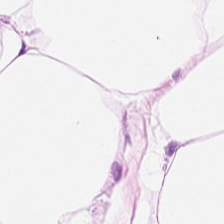Hematoxylin and eosin. Adipose.
